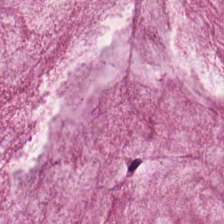Stain: H&E-stained tissue section.
Tissue: extracellular mucin.
